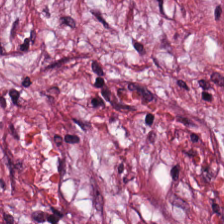The predominant tissue is cancer-associated stroma.
